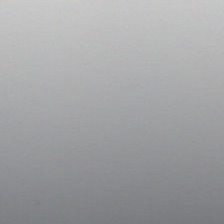0.5 µm/px · 224×224 px patch · H&E. Background.
